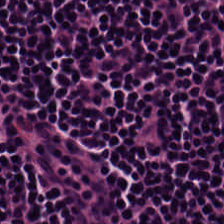Stain: H&E stain.
Resolution: 20× equivalent magnification.
Preparation: formalin-fixed paraffin-embedded section.
Tissue type: lymphoid infiltrate.
